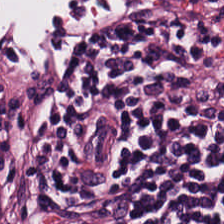Q: Identify the tissue.
A: It is lymphocyte aggregate.
